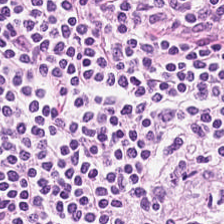Predominant tissue: lymphocyte aggregate.
